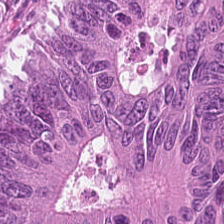Formalin-fixed paraffin-embedded section. H&E stain. Q: What is shown in this field?
A: The field shows colorectal adenocarcinoma epithelium.
